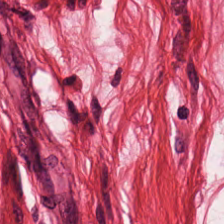H&E-stained tissue section.
Impression → smooth muscle.
